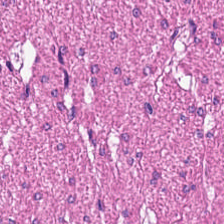Hematoxylin-and-eosin stained section; 0.5 microns per pixel. This patch shows smooth-muscle tissue.
